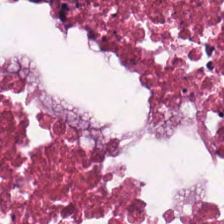Predominant tissue = cellular debris.
